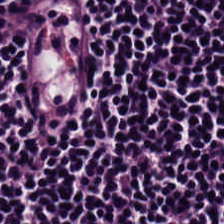H&E-stained tissue section showing lymphocytes.
